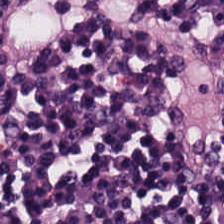Hematoxylin and eosin · FFPE. Q: What tissue is shown?
A: Lymphocytic infiltrate.
